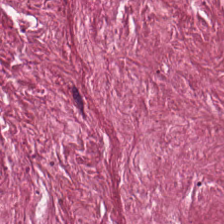0.5 microns per pixel. H&E stain — This field is tumor stroma.
